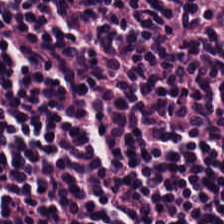224×224 pixel tile. H&E stain. 0.5 µm per pixel. The predominant tissue is lymphocytic infiltrate.
